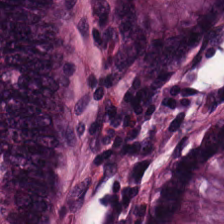Hematoxylin and eosin. Tissue — normal colonic mucosa.
